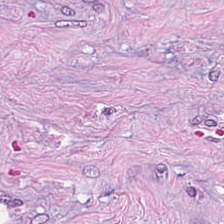Q: What is shown in this field?
A: This is desmoplastic stroma.
